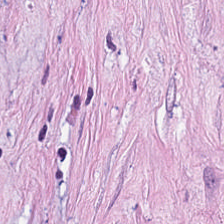Impression → cancer-associated stroma.
